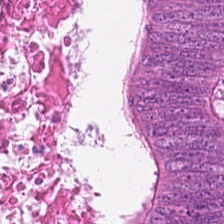H&E — Histology — tumor epithelium.
